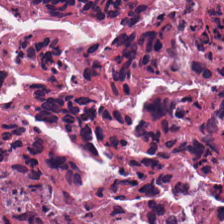H&E stain · 0.5 µm per pixel · whole-slide-image patch.
Impression → cellular debris.
